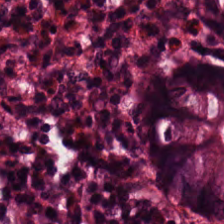0.5 µm per pixel; H&E-stained tissue section; 224×224 px tile — The predominant tissue is normal colonic mucosa.
